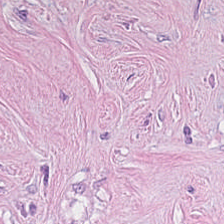224×224 pixel tile. H&E-stained tissue section.
Q: What tissue type is shown here?
A: This is cancer-associated stroma.
